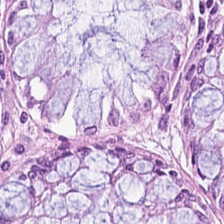H&E.
Tissue — normal colonic mucosa.
